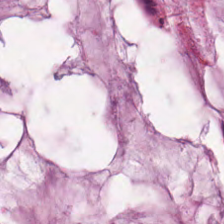Brightfield. Hematoxylin and eosin — Classification = extracellular mucin.
